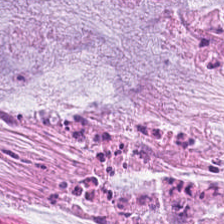Stain: hematoxylin and eosin.
Tissue class: mucin.
